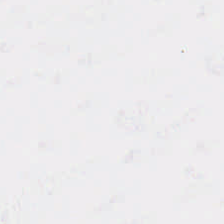Q: What does this patch show?
A: It is background (no tissue).
